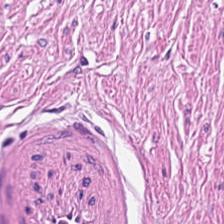H&E-stained section; the field shows smooth-muscle tissue.
